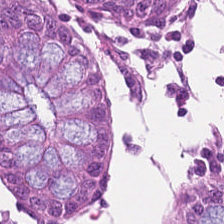Tissue class = benign colonic mucosa.
